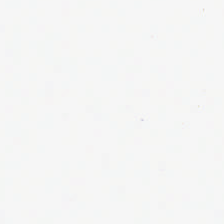Stain: H&E-stained tissue section.
Preparation: formalin-fixed paraffin-embedded section.
Tile size: 224×224 px tile.
Content: empty background.
